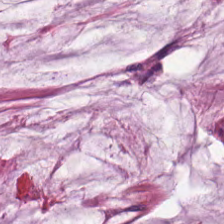Hematoxylin-and-eosin stained section · brightfield.
{"tissue_type": "mucus"}
